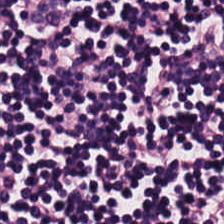The tissue type is lymphoid infiltrate.
